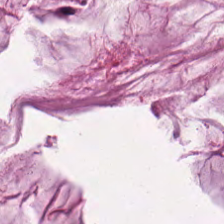Stain: hematoxylin-and-eosin stained section.
Classification: mucus.
